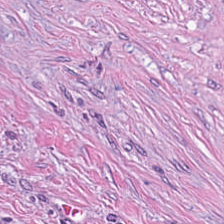H&E. Showing tumor stroma.
